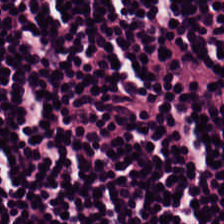H&E-stained tissue section.
Tissue type = lymphoid infiltrate.
